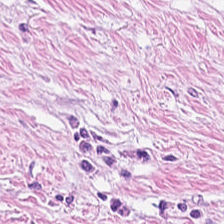H&E-stained tissue section. Tissue: desmoplastic stroma.
